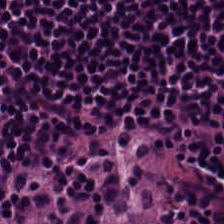Tissue class = lymphocytes.
